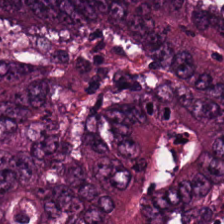Predominantly colorectal adenocarcinoma epithelium.
